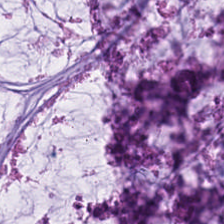224×224 px patch. H&E stain.
The predominant tissue is mucus.
